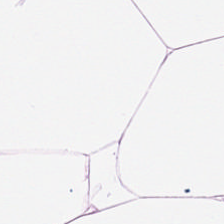Hematoxylin-and-eosin stained section — Adipose.
